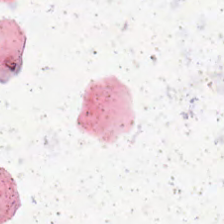Hematoxylin-and-eosin stained section. Q: What does this patch show?
A: Background.
